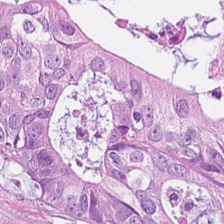H&E-stained section; the field shows adenocarcinoma.
